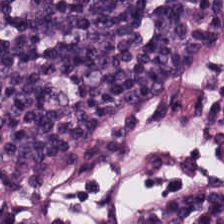H&E; 0.5 µm/px.
Tissue class = lymphocytic infiltrate.
